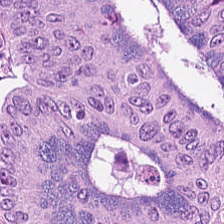H&E stain. Impression — malignant epithelium.
